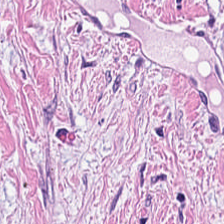224×224 px tile. Hematoxylin and eosin. Tumor stroma.
